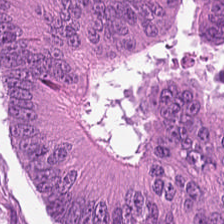H&E stain · 0.5 microns per pixel — This patch shows colorectal adenocarcinoma epithelium.
